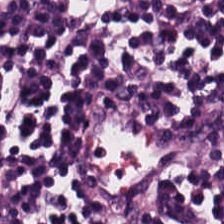Formalin-fixed paraffin-embedded section. H&E.
{"tissue_type": "lymphocytes"}
